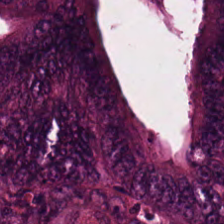Tissue class — colorectal adenocarcinoma.
